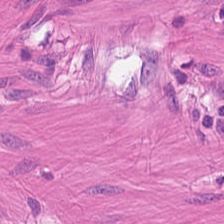Hematoxylin and eosin.
The tissue is muscularis.
